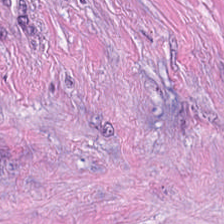This field is desmoplastic stroma.
